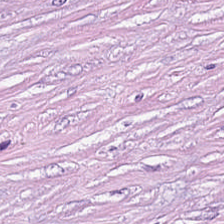Hematoxylin and eosin. Predominantly tumor-associated stroma.
